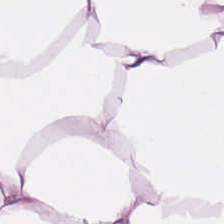0.5 µm/px · H&E-stained tissue section — Impression — adipocytes.
